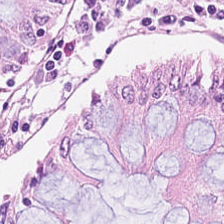Hematoxylin-and-eosin stained section.
This field is normal colonic mucosa.
